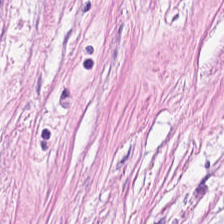Hematoxylin-and-eosin stained section. FFPE tissue section. Tissue class — tumor stroma.
